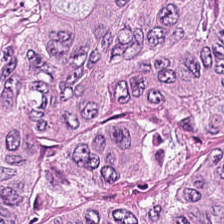The predominant tissue is colorectal adenocarcinoma epithelium.
